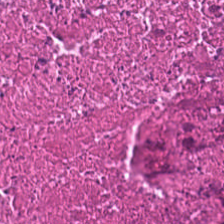Brightfield. H&E. 224×224 px tile — The predominant tissue is debris.
